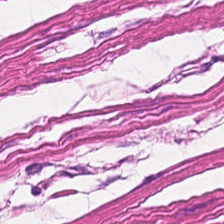H&E-stained tissue section.
Q: What tissue type is shown here?
A: This is muscularis.
